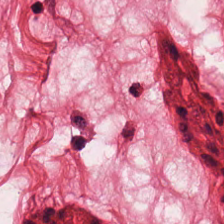Stain: H&E-stained tissue section.
Resolution: 0.5 µm/px.
Tissue: smooth muscle.
